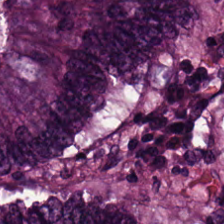Stain: H&E stain.
Tile size: 224×224 pixel tile.
Classification: tumor epithelium.
